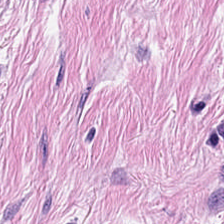The predominant tissue is tumor stroma.
